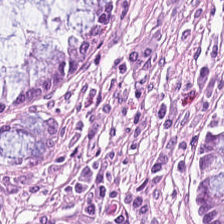Stain: H&E stain.
Resolution: 0.5 µm/px.
Tissue type: normal colon mucosa.
